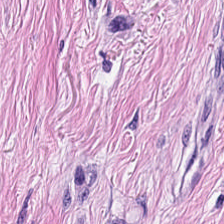Hematoxylin and eosin · WSI patch.
The tissue type is desmoplastic stroma.
